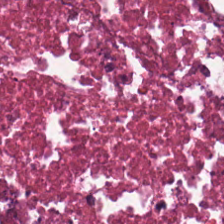This patch shows cellular debris.
